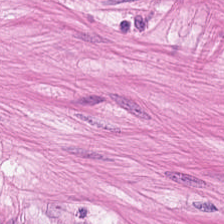Predominant tissue: smooth muscle.
